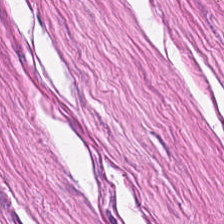Stain: hematoxylin and eosin.
Preparation: formalin-fixed paraffin-embedded section.
Predominant tissue: smooth muscle.
